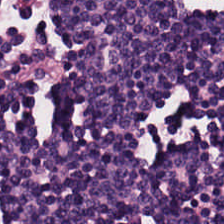Hematoxylin and eosin. Predominant tissue — lymphoid infiltrate.
